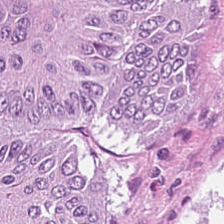H&E stain.
Predominant tissue: colorectal adenocarcinoma epithelium.
